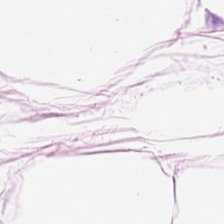Stain: H&E.
Tissue type: adipocytes.
